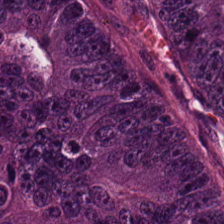H&E-stained tissue section.
Showing adenocarcinoma.
